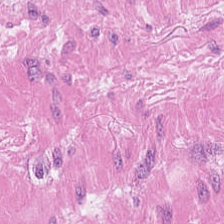Stain: H&E.
Classification: smooth-muscle tissue.
